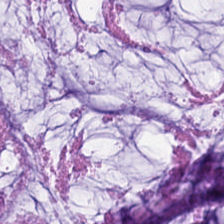Hematoxylin-and-eosin stained section — The tissue here is mucin.
